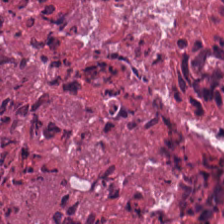Hematoxylin-and-eosin stained section. {"tissue_type": "debris"}
